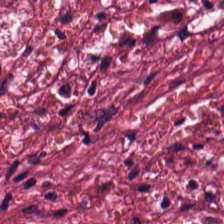FFPE tissue section · hematoxylin-and-eosin stained section — Tumor stroma.
